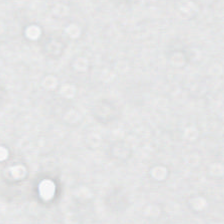Hematoxylin and eosin. Impression → no tissue.
